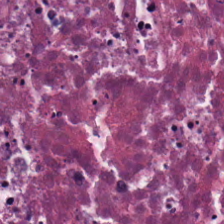Q: Identify the tissue.
A: Debris.
